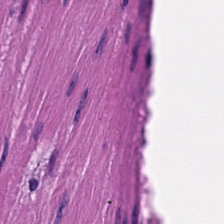Showing muscularis.
